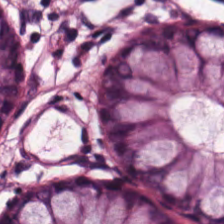Tissue class — normal colonic mucosa.
